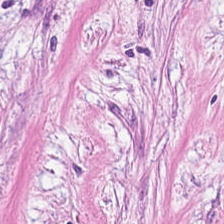H&E stain.
The predominant tissue is desmoplastic stroma.
